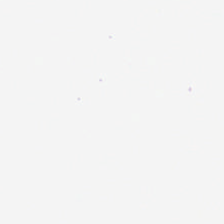Empty background.
